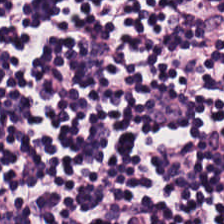Stain: hematoxylin and eosin.
Predominant tissue: lymphocytes.
